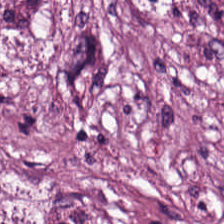Hematoxylin-and-eosin stained section · 224×224 pixel tile · brightfield microscopy. This field is desmoplastic stroma.
